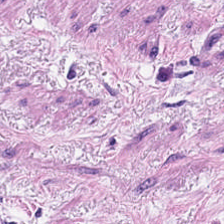Stain: hematoxylin and eosin.
Tissue: smooth muscle.
